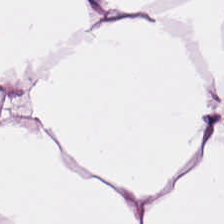H&E-stained tissue section.
Adipose tissue.
